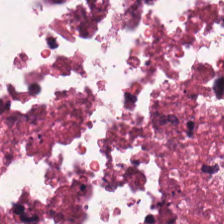H&E-stained tissue section · brightfield · formalin-fixed paraffin-embedded section.
Showing cellular debris.
